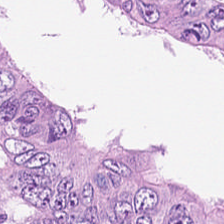Q: What tissue type is shown here?
A: Colorectal adenocarcinoma epithelium.
